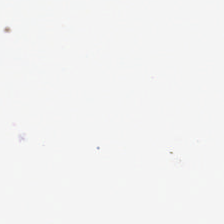Hematoxylin and eosin.
Q: What is shown here?
A: The field shows empty background.
